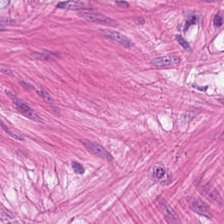Tissue type: smooth muscle.
